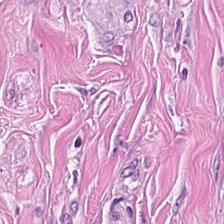H&E-stained tissue section. Tissue class: tumor-associated stroma.
